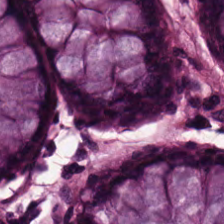Hematoxylin-and-eosin section: benign colonic mucosa.
